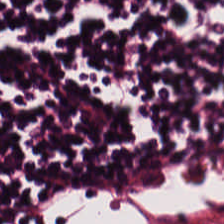20× equivalent magnification. Whole-slide-image patch. H&E stain — Predominantly lymphocyte aggregate.
